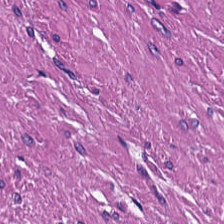FFPE tissue section · H&E-stained tissue section.
Q: What is shown here?
A: This is smooth muscle.
